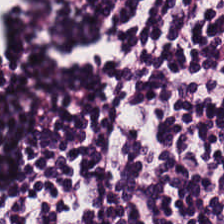H&E stain; 224×224 px tile.
Impression — lymphocytic infiltrate.
